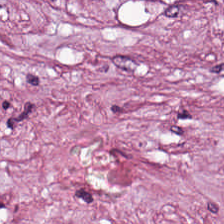Stain: hematoxylin and eosin.
Resolution: 0.5 µm per pixel.
Tile size: 224×224 pixel tile.
Classification: desmoplastic stroma.
